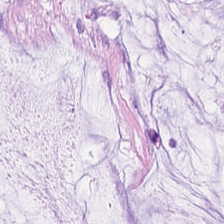Hematoxylin-and-eosin stained section — Finding → mucus.
